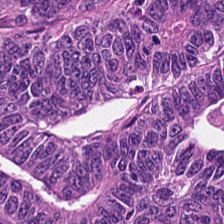H&E-stained tissue section. This patch shows adenocarcinoma.
